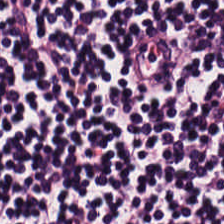Histology — lymphocytes.
